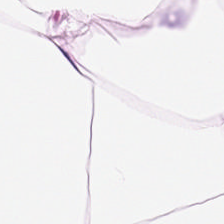Stain: H&E stain.
Acquisition: whole-slide-image patch.
Predominant tissue: adipocytes.
